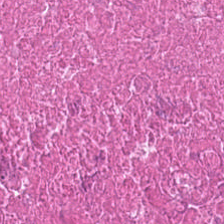H&E-stained tissue section. 0.5 µm per pixel — The predominant tissue is necrotic debris.
